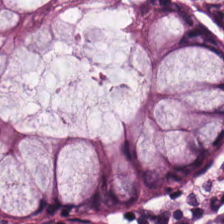Brightfield microscopy · H&E stain.
Finding — normal colon mucosa.
